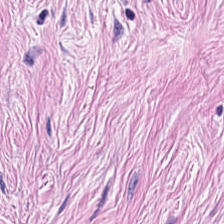Hematoxylin-and-eosin stained section; WSI patch.
Q: What is the predominant tissue type?
A: The field shows tumor-associated stroma.
